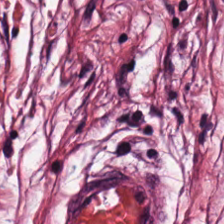224×224 px tile · H&E — Showing tumor-associated stroma.
